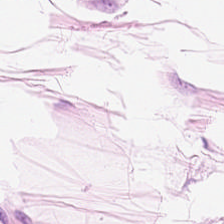Hematoxylin-and-eosin stained section.
Q: What tissue is shown?
A: Adipose.
